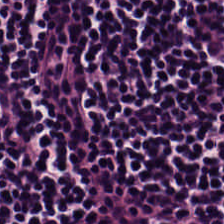Stain: H&E-stained tissue section.
Preparation: formalin-fixed paraffin-embedded section.
Classification: lymphocytic infiltrate.
